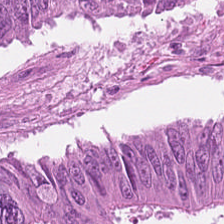H&E stain. Q: What does this patch show?
A: Malignant epithelium.
